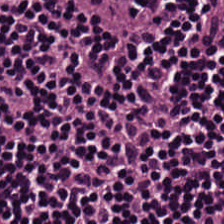Hematoxylin-and-eosin stained section.
Q: What is shown in this field?
A: It is lymphocytes.
